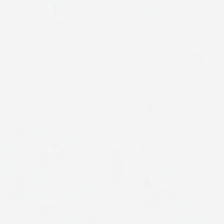0.5 µm per pixel · hematoxylin-and-eosin stained section — This field is background (no tissue).
